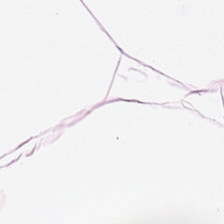Stain: H&E-stained tissue section.
Classification: fat tissue.
